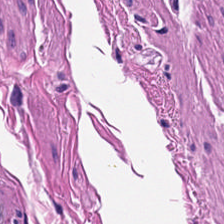224×224 pixel tile · H&E.
Tissue type = smooth muscle.
